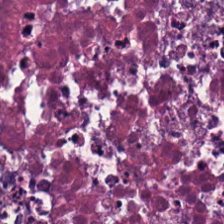H&E-stained tissue section. FFPE. Impression — necrotic debris.
